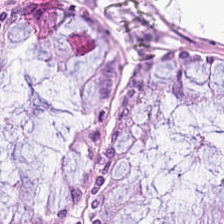FFPE; hematoxylin and eosin — Impression → normal colonic mucosa.
